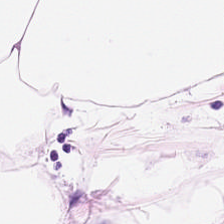Q: What tissue is shown?
A: Adipose tissue.
